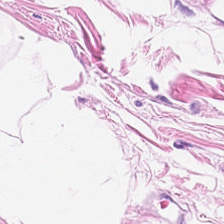Showing adipose tissue.
